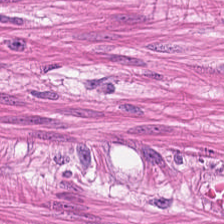H&E stain. Histology → smooth-muscle tissue.
